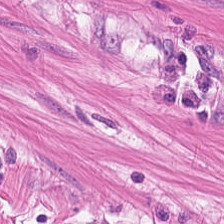Hematoxylin-and-eosin stained section.
Tissue — smooth-muscle tissue.
